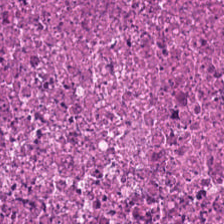Hematoxylin and eosin; brightfield.
Classification — cellular debris.
